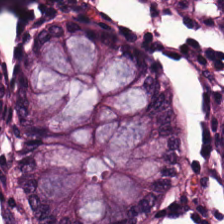H&E-stained tissue section.
Q: Identify the tissue.
A: Non-neoplastic colon mucosa.
